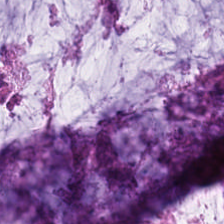WSI patch; H&E-stained tissue section — {"tissue_type": "mucin"}
